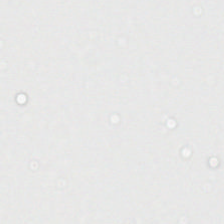H&E stain — Impression → empty background.
